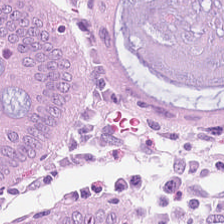Stain: hematoxylin and eosin.
Classification: benign colonic mucosa.
